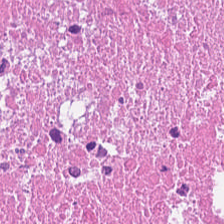H&E stain · 224×224 px patch — The tissue here is debris.
